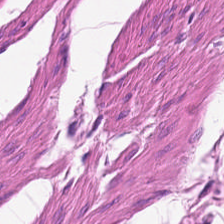Stain: hematoxylin and eosin.
Predominant tissue: smooth-muscle tissue.
